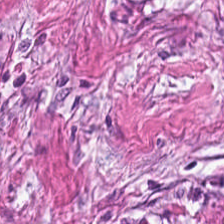Classification: tumor stroma.
